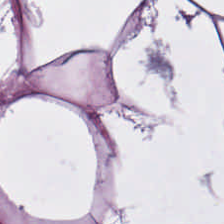Q: What type of tissue is this?
A: This is adipose.
